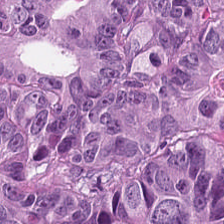H&E-stained tissue section — Q: What does this patch show?
A: The field shows adenocarcinoma.
